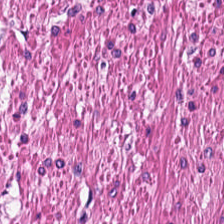Stain: H&E stain.
Tile size: 224×224 px tile.
Tissue type: muscularis.
